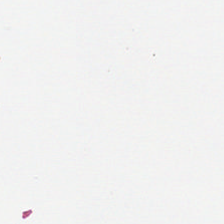Hematoxylin-and-eosin stained section.
Background — no tissue in this field.
